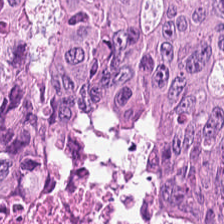H&E; 224×224 px patch. Predominantly colorectal adenocarcinoma epithelium.
